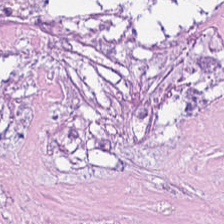Stain: H&E.
Tissue type: debris.
